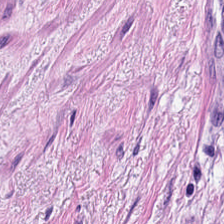Brightfield; hematoxylin-and-eosin stained section; 224×224 px tile — Q: Classify this patch.
A: Muscularis.
